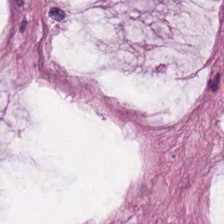This field is extracellular mucin.
